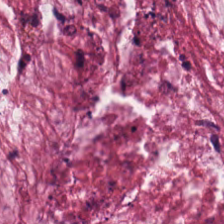Hematoxylin-and-eosin section: mucus.
